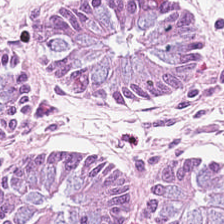Hematoxylin-and-eosin stained section. Q: What is shown in this field?
A: The field shows normal colon mucosa.
